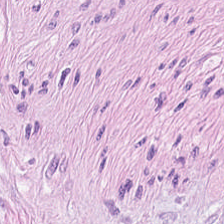Stain: H&E.
Preparation: FFPE tissue section.
Tissue: tumor-associated stroma.
